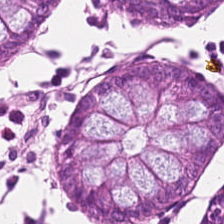Hematoxylin-and-eosin stained section. FFPE. 224×224 px tile. Predominantly benign colonic mucosa.
